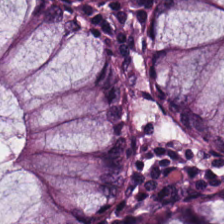Q: What tissue type is shown here?
A: Normal colon mucosa.
